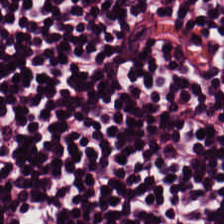Hematoxylin and eosin — Finding → lymphocytic infiltrate.
